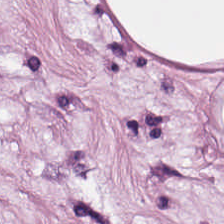H&E. This field is adipocytes.
